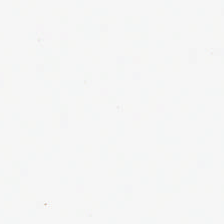H&E stain — Q: Classify this patch.
A: It is background.
